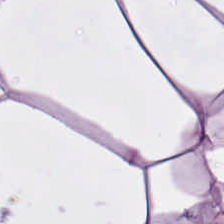H&E; brightfield microscopy; 224×224 px tile.
Q: What does this patch show?
A: Adipose tissue.
